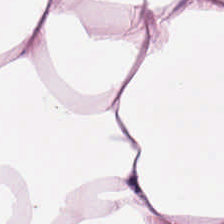Impression → fat tissue.
